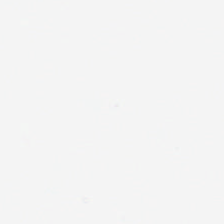20× equivalent magnification. 224×224 px patch. Hematoxylin-and-eosin stained section.
Empty field — empty background.
